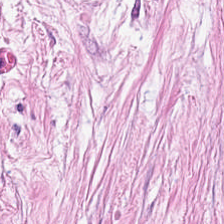This patch shows tumor stroma.
